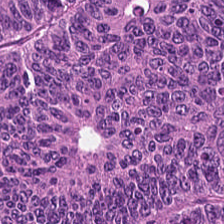Hematoxylin and eosin. 224×224 px tile.
Showing tumor epithelium.
